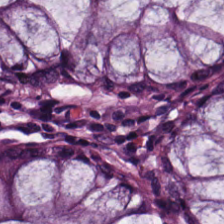Stain: H&E.
Tissue: benign colonic mucosa.
